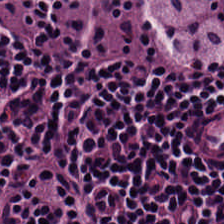WSI patch · formalin-fixed paraffin-embedded section · H&E stain.
This patch shows lymphocyte aggregate.
